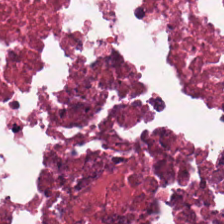H&E.
The tissue here is debris.
